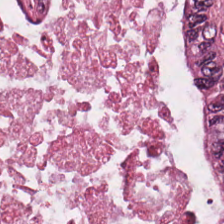Predominant tissue — malignant epithelium.
